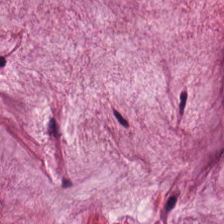H&E stain — Mucus.
